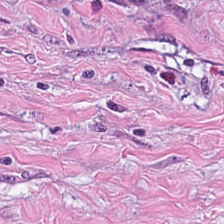H&E — tumor stroma.
